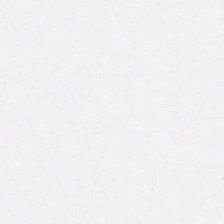0.5 µm/px; hematoxylin and eosin. {"content": "empty background"}
